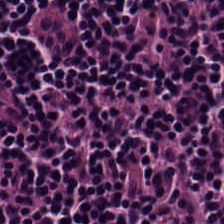H&E-stained tissue section · brightfield — Tissue type — lymphocytic infiltrate.
